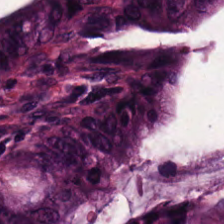FFPE tissue section. 0.5 µm/px. Hematoxylin and eosin. Q: What tissue type is shown here?
A: It is malignant epithelium.
